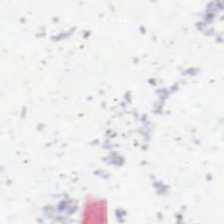H&E stain.
Finding → background (no tissue).
